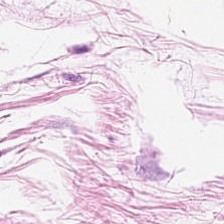0.5 µm/px. FFPE. Hematoxylin-and-eosin stained section.
This field is fat tissue.
